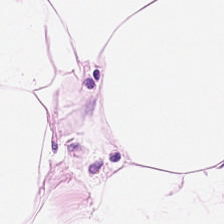H&E-stained tissue section. Brightfield. Tissue = adipose tissue.
